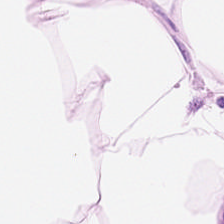Hematoxylin-and-eosin stained section. 0.5 µm/px. Q: What tissue is shown?
A: This is adipose.
